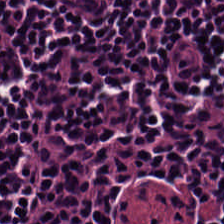Brightfield; H&E — The classification is lymphocytic infiltrate.
